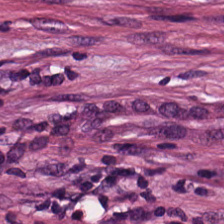H&E. Formalin-fixed paraffin-embedded section.
Showing tumor-associated stroma.
